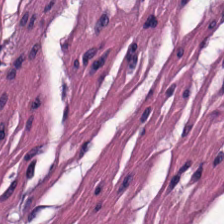224×224 px tile · brightfield · hematoxylin and eosin — Q: What is shown in this field?
A: Smooth muscle.
